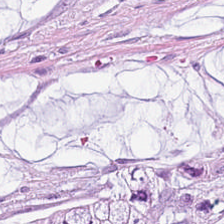224×224 pixel tile. Hematoxylin-and-eosin stained section — Finding — extracellular mucin.
